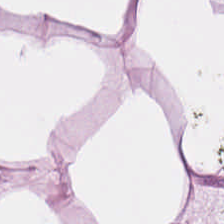Hematoxylin-and-eosin stained section. Showing adipocytes.
